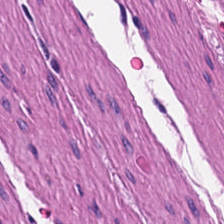H&E-stained tissue section; 0.5 µm/px. Showing smooth-muscle tissue.
